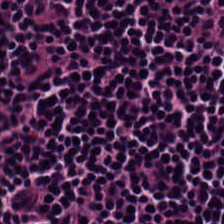Q: What is the predominant tissue type?
A: This is lymphocytic infiltrate.
